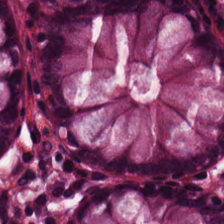Hematoxylin and eosin. WSI patch. 0.5 µm per pixel — Normal colonic mucosa.
